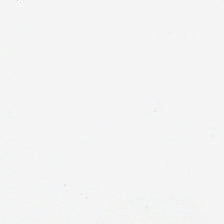Brightfield microscopy. FFPE tissue section. H&E stain.
Field content — empty background.
